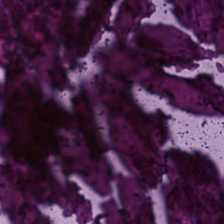Formalin-fixed paraffin-embedded section; H&E-stained tissue section; 0.5 µm per pixel. Predominantly necrotic debris.
